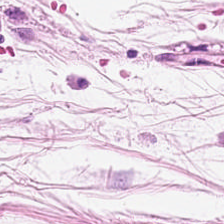Classification = adipocytes.
